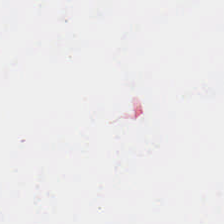The field content is background.
